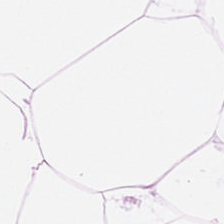224×224 px tile. H&E stain — Adipose.
